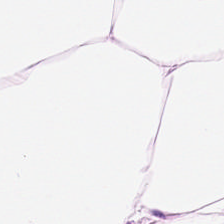Brightfield microscopy; H&E-stained tissue section.
Classification — adipose.
